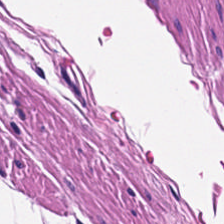Hematoxylin-and-eosin stained section. 0.5 microns per pixel. FFPE.
Q: What is the predominant tissue type?
A: Muscularis.
